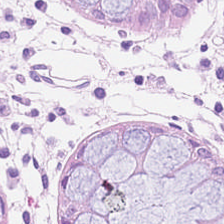Tissue type: non-neoplastic colon mucosa.
